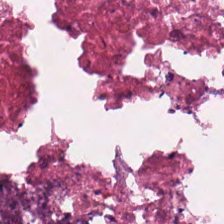H&E-stained tissue section. Tissue class — cellular debris.
